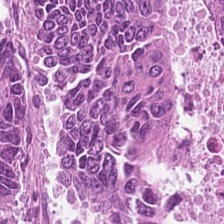FFPE tissue section · H&E stain. {"tissue_type": "tumor epithelium"}
